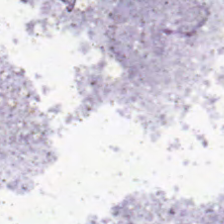Stain: H&E.
Content: no tissue.
